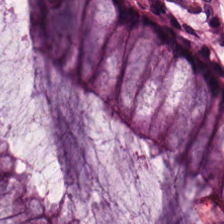Stain: hematoxylin-and-eosin stained section.
Tissue: normal colonic mucosa.
